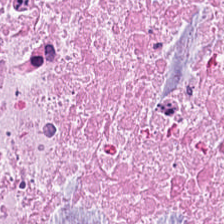Histology — cellular debris.
